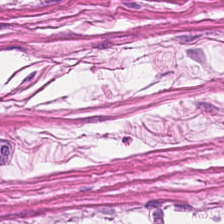Formalin-fixed paraffin-embedded section · hematoxylin-and-eosin stained section · WSI patch. Q: What tissue type is shown here?
A: This is smooth muscle.
